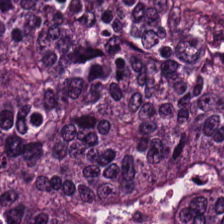Hematoxylin and eosin.
The tissue here is colorectal adenocarcinoma epithelium.
